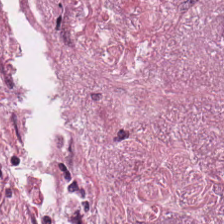H&E stain — Histology → cancer-associated stroma.
